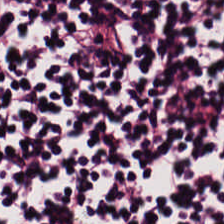The tissue here is lymphocyte aggregate.
